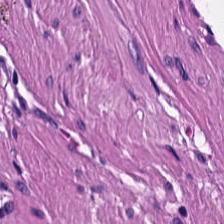FFPE tissue section; hematoxylin and eosin. Tissue class: muscularis.
